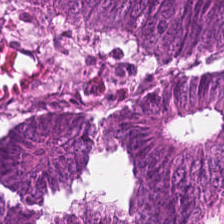Histology — colorectal adenocarcinoma epithelium.
